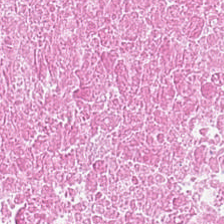The predominant tissue is debris.
